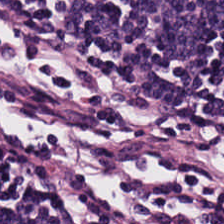WSI patch; H&E; 224×224 pixel tile — Tissue — lymphocyte aggregate.
